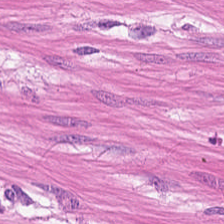H&E stain · 0.5 microns per pixel.
Tissue type — smooth-muscle tissue.
